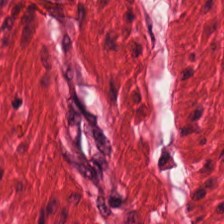0.5 microns per pixel · H&E stain.
The tissue type is smooth muscle.
